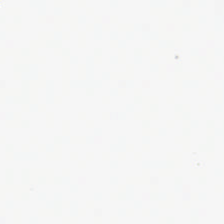This patch shows background (no tissue).
